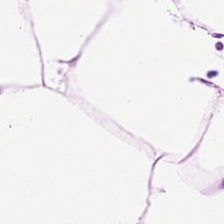H&E stain. Tissue = adipocytes.
